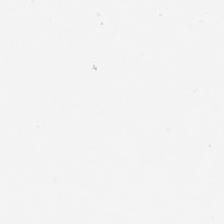Hematoxylin-and-eosin stained section. {"content": "no tissue"}
